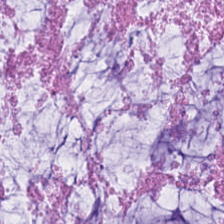Q: What tissue is shown?
A: The field shows mucin.
